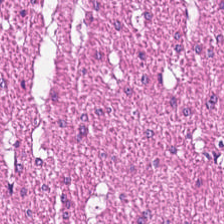Brightfield microscopy · hematoxylin and eosin — The predominant tissue is muscularis.
